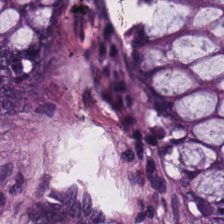H&E stain · formalin-fixed paraffin-embedded section. Finding — normal colon mucosa.
